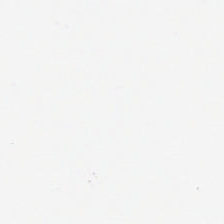Q: Classify this patch.
A: It is background (no tissue).
